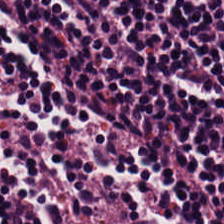Stain: H&E stain.
Tile size: 224×224 px tile.
Classification: lymphocytic infiltrate.
